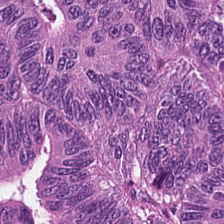Hematoxylin-and-eosin stained section; 224×224 px tile; WSI patch. Tissue class: adenocarcinoma.
